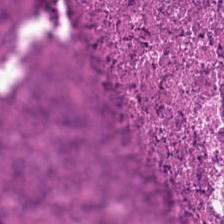Whole-slide-image patch; H&E — The tissue type is necrotic debris.
